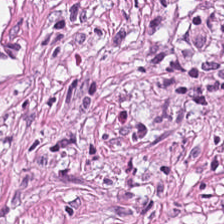Hematoxylin and eosin — Predominantly cancer-associated stroma.
